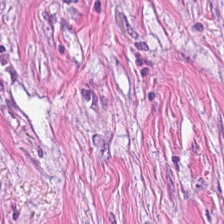Finding — tumor-associated stroma.
